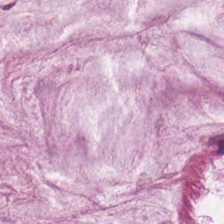20× equivalent magnification · hematoxylin-and-eosin stained section. The tissue class is mucus.
